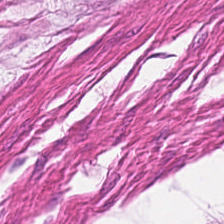FFPE; hematoxylin and eosin. Predominantly smooth-muscle tissue.
